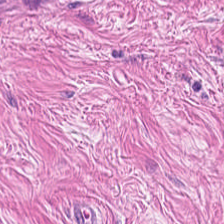Hematoxylin and eosin.
Histology → muscularis.
